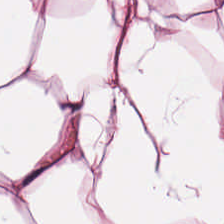Hematoxylin-and-eosin section: fat tissue.
